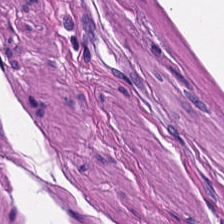H&E · whole-slide-image patch · FFPE tissue section.
The predominant tissue is smooth muscle.
